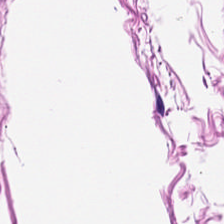Hematoxylin-and-eosin stained section · brightfield — This field is smooth-muscle tissue.
